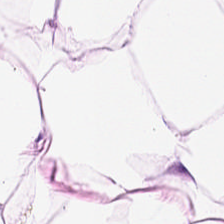FFPE. Hematoxylin-and-eosin stained section.
The predominant tissue is adipocytes.
